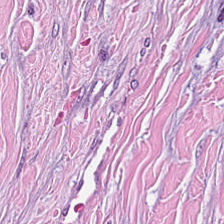H&E-stained tissue section.
Tissue = tumor-associated stroma.
